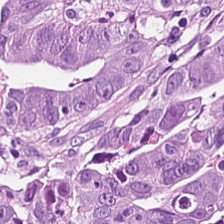Stain: H&E stain.
Tissue class: tumor epithelium.
